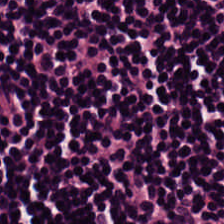H&E stain. 0.5 microns per pixel. Tissue class — lymphoid infiltrate.
